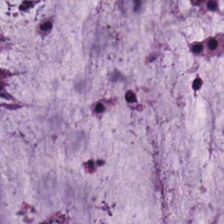20× equivalent magnification · H&E stain — Impression — mucin.
